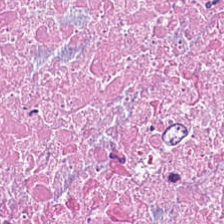Hematoxylin-and-eosin stained section — This patch shows debris.
